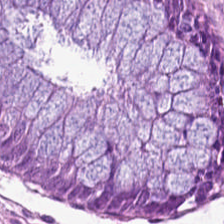Hematoxylin-and-eosin stained section — Predominantly non-neoplastic colon mucosa.
